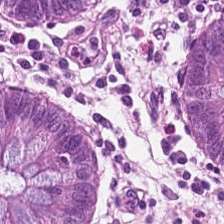H&E-stained tissue section — The tissue here is normal colon mucosa.
